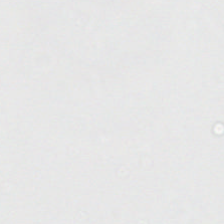Hematoxylin-and-eosin stained section. Impression — background.
